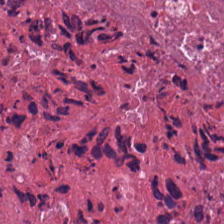H&E stain.
This field is cellular debris.
